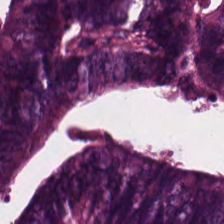H&E stain — Adenocarcinoma.
